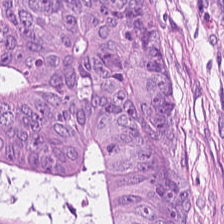H&E-stained tissue section — The tissue is tumor epithelium.
